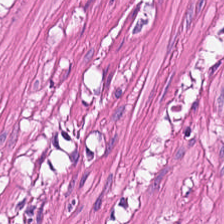Hematoxylin-and-eosin stained section. This field is smooth muscle.
